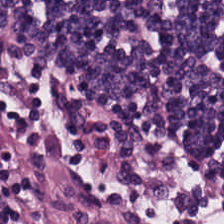Stain: hematoxylin and eosin.
Resolution: 0.5 µm/px.
Classification: lymphocytic infiltrate.
